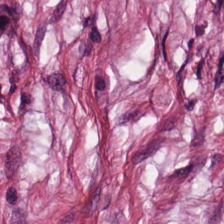H&E-stained tissue section.
This patch shows cancer-associated stroma.
